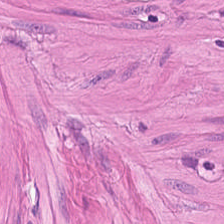Tissue = smooth-muscle tissue.
